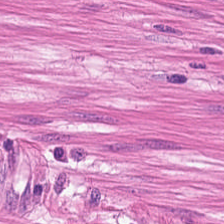FFPE tissue section; H&E-stained tissue section; 0.5 µm per pixel. Finding — muscularis.
